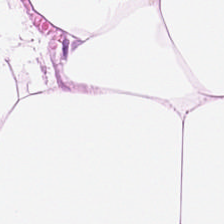{"tissue_type": "adipose"}
